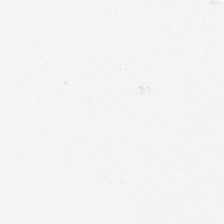Hematoxylin and eosin; formalin-fixed paraffin-embedded section. The classification is background.
